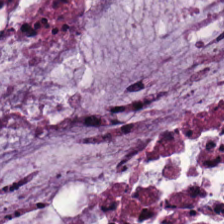Q: What is shown in this field?
A: The field shows mucin.
